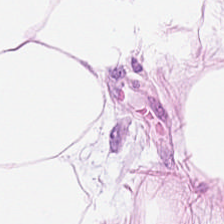H&E — adipose tissue.
